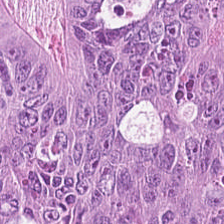Stain: hematoxylin-and-eosin stained section.
Predominant tissue: colorectal adenocarcinoma epithelium.
